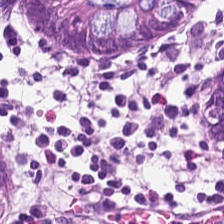H&E stain. Finding — non-neoplastic colon mucosa.
